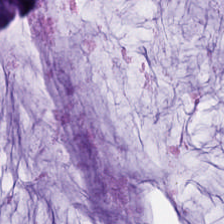H&E-stained tissue section. WSI patch — The classification is mucus.
